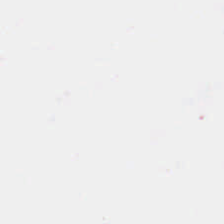{"content": "background (no tissue)"}
